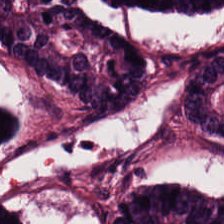Hematoxylin-and-eosin stained section; 0.5 µm per pixel. The tissue is malignant epithelium.
